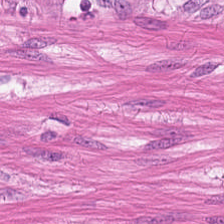H&E stain. The predominant tissue is muscularis.
